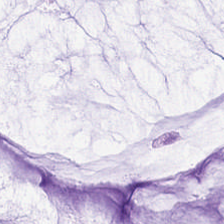Histology → extracellular mucin.
